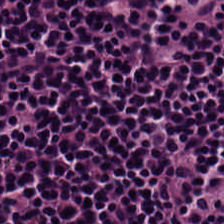H&E-stained tissue section. Predominant tissue — lymphocytes.
